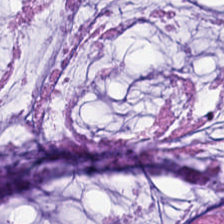Q: What type of tissue is this?
A: This is mucin.
